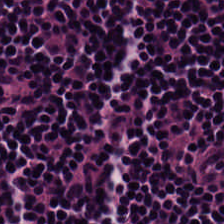Hematoxylin-and-eosin stained section; 224×224 px tile — Lymphoid infiltrate.
